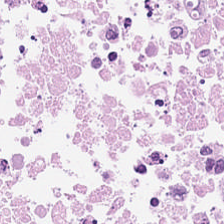H&E. FFPE.
Q: Identify the tissue.
A: The field shows cellular debris.
